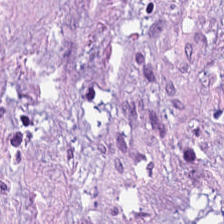H&E.
Tissue class = cancer-associated stroma.
